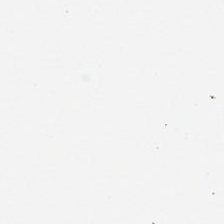No tissue present; background only.
